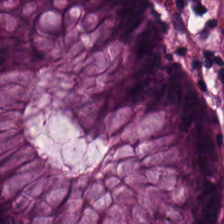Classification: benign colonic mucosa.
